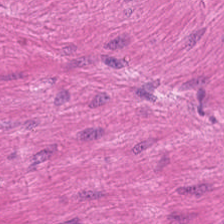Hematoxylin-and-eosin stained section · formalin-fixed paraffin-embedded section · 224×224 pixel tile.
Showing smooth muscle.
